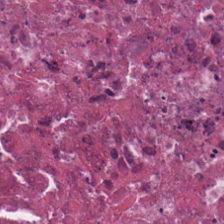Predominant tissue = debris.
